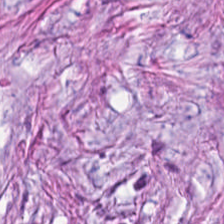Showing tumor-associated stroma.
